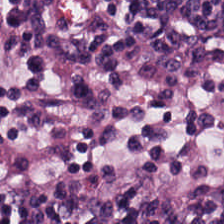Brightfield microscopy. H&E-stained tissue section. 224×224 px patch. Tissue: lymphocyte aggregate.
